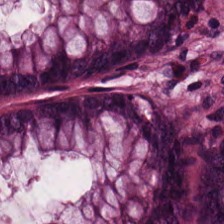Hematoxylin and eosin.
The tissue here is benign colonic mucosa.
